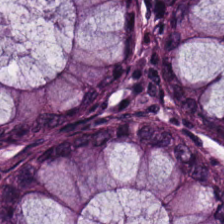H&E stain. 20× equivalent magnification.
Finding — normal colonic mucosa.
